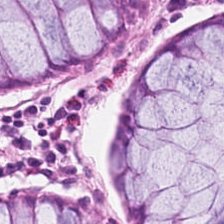Impression → normal colon mucosa.
